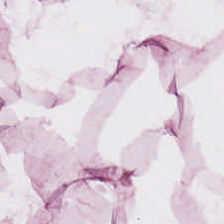Hematoxylin-and-eosin stained section. The classification is adipocytes.
